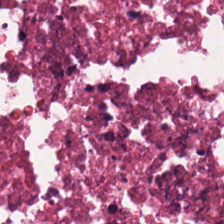0.5 µm per pixel; whole-slide-image patch; hematoxylin and eosin.
Tissue = necrotic debris.
